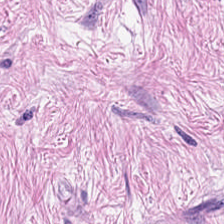0.5 µm/px; hematoxylin and eosin — Predominant tissue = cancer-associated stroma.
